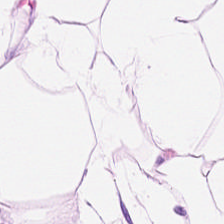Hematoxylin and eosin — Predominantly adipose tissue.
